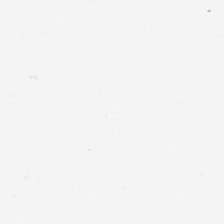FFPE tissue section. H&E-stained tissue section. 224×224 pixel tile.
Content — background (no tissue).
